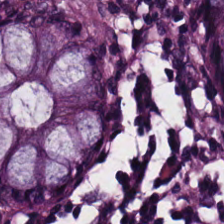Benign colonic mucosa.
